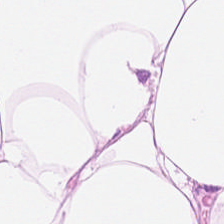WSI patch · hematoxylin-and-eosin stained section · 224×224 pixel tile. This field is adipose tissue.
